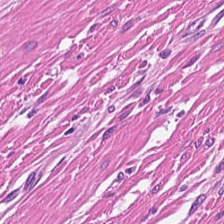Hematoxylin-and-eosin stained section.
Classification: smooth-muscle tissue.
